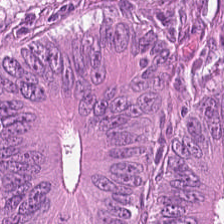Stain: hematoxylin-and-eosin stained section.
Tissue class: adenocarcinoma.
